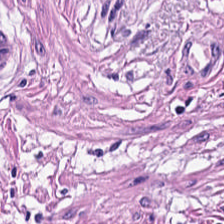This field is smooth-muscle tissue.
